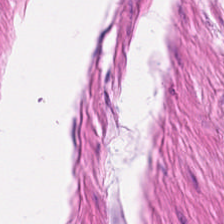224×224 pixel tile · H&E-stained tissue section.
{"tissue_type": "smooth muscle"}
